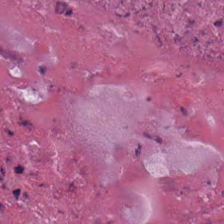Predominant tissue = debris.
